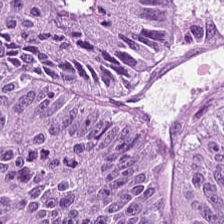H&E-stained tissue section; FFPE tissue section.
This patch shows malignant epithelium.
